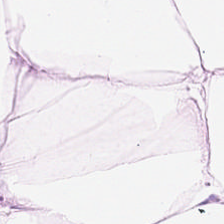Hematoxylin-and-eosin stained section. This patch shows fat tissue.
